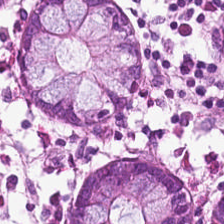Hematoxylin-and-eosin stained section.
The tissue is benign colonic mucosa.
